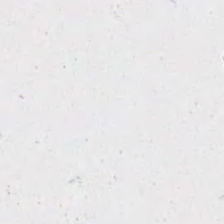Hematoxylin-and-eosin stained section; FFPE tissue section.
Content = empty background.
